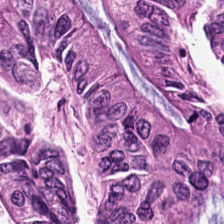The predominant tissue is adenocarcinoma.
